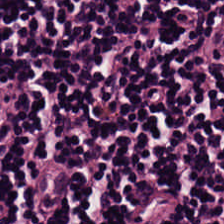{"tissue_type": "lymphoid infiltrate"}
